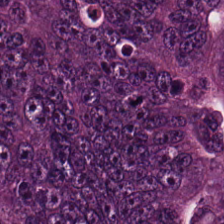Q: What tissue type is shown here?
A: The field shows colorectal adenocarcinoma epithelium.
